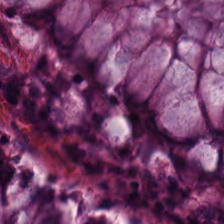Hematoxylin and eosin — Q: What is the predominant tissue type?
A: The field shows non-neoplastic colon mucosa.
